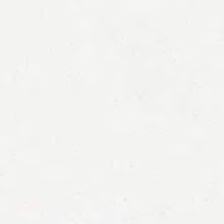The content is background (no tissue).
